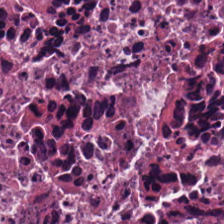Tissue — cellular debris.
